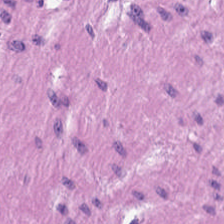H&E.
Histology — smooth-muscle tissue.
